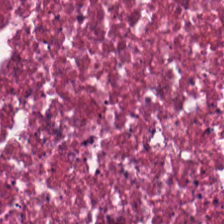H&E stain — The classification is cellular debris.
